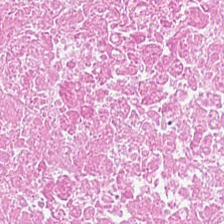This patch shows necrotic debris.
